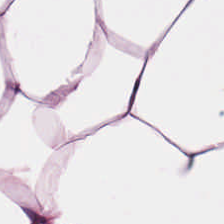H&E-stained tissue section.
This patch shows adipose tissue.
